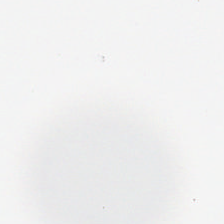Background — no tissue in this field.
